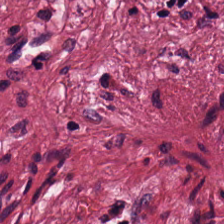Showing cancer-associated stroma.
